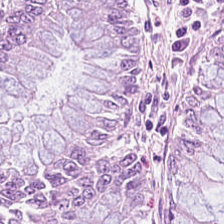H&E stain. Histology — benign colonic mucosa.
